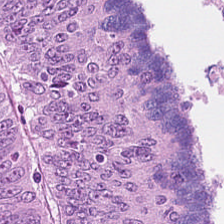H&E stain — Adenocarcinoma.
